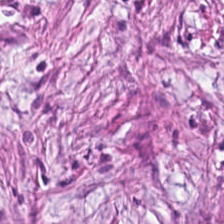Hematoxylin-and-eosin stained section; 0.5 microns per pixel — Q: Identify the tissue.
A: The field shows tumor stroma.
